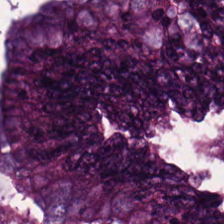Hematoxylin-and-eosin stained section — Tissue = adenocarcinoma.
